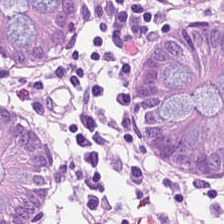H&E-stained section; the field shows normal colonic mucosa.
